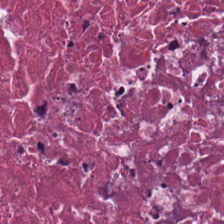H&E.
Necrotic debris.
